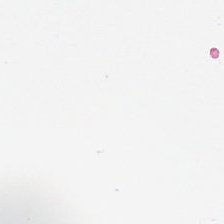Hematoxylin and eosin.
Empty field — no tissue.
